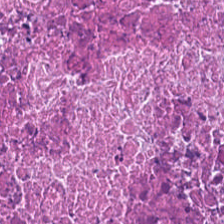The tissue here is debris.
